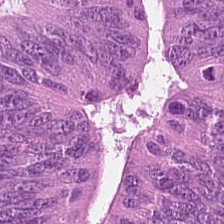0.5 microns per pixel. H&E stain. FFPE tissue section — The tissue here is adenocarcinoma.
